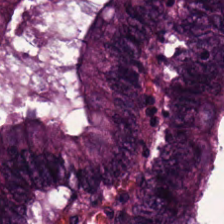Hematoxylin-and-eosin section: colorectal adenocarcinoma epithelium.
